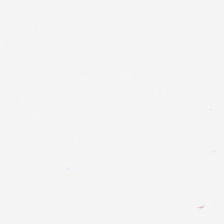Hematoxylin-and-eosin stained section · 224×224 px patch · WSI patch. No tissue present; background only.
